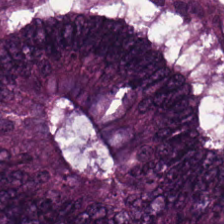Impression — tumor epithelium.
